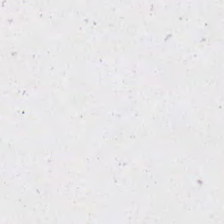H&E stain. The classification is background.
